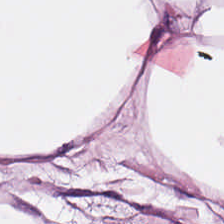The tissue is adipose tissue.
